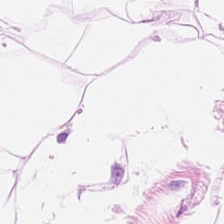Hematoxylin-and-eosin stained section.
Histology — adipose.
